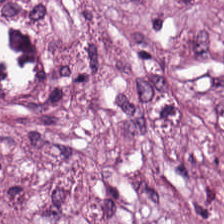H&E.
Q: What is the predominant tissue type?
A: It is tumor stroma.
